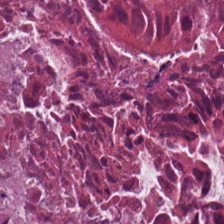Hematoxylin-and-eosin stained section. Tissue = debris.
